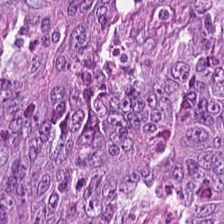FFPE tissue section. H&E. This patch shows tumor epithelium.
